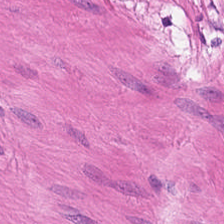0.5 µm per pixel. H&E-stained tissue section. The tissue is muscularis.
